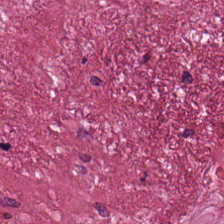224×224 px tile; FFPE tissue section; H&E. The classification is tumor stroma.
